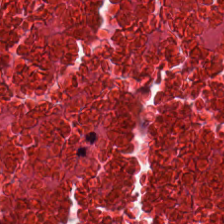H&E-stained tissue section — Impression → cellular debris.
